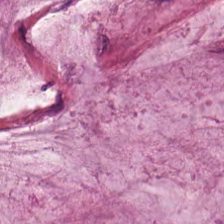Whole-slide-image patch · H&E stain.
Tissue: extracellular mucin.
